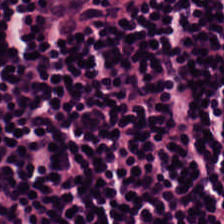FFPE. H&E. Lymphocytic infiltrate.
